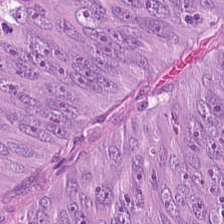H&E. The predominant tissue is colorectal adenocarcinoma epithelium.
